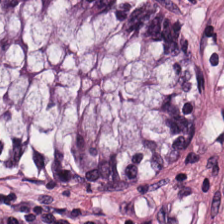H&E stain · WSI patch · 224×224 px patch — This field is normal colon mucosa.
